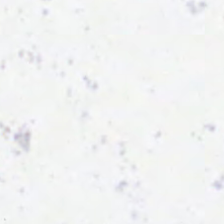H&E. Field content = background.
